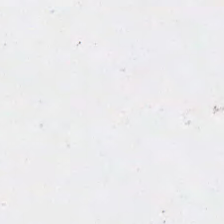Hematoxylin-and-eosin stained section — Field content — empty background.
